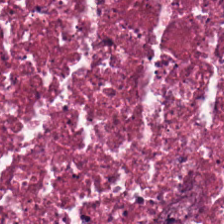H&E. Tissue type = debris.
